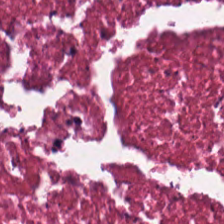H&E stain; FFPE.
This patch shows necrotic debris.
